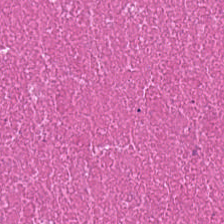224×224 px tile; hematoxylin-and-eosin stained section; FFPE tissue section.
Showing cellular debris.
